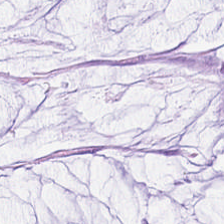Finding — mucin.
